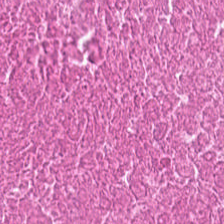H&E stain.
This field is debris.
